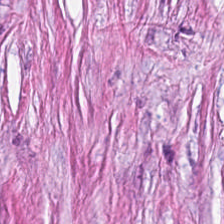H&E-stained tissue section.
Finding — cancer-associated stroma.
